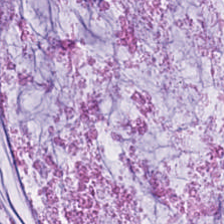H&E stain. 224×224 pixel tile.
The predominant tissue is mucin.
